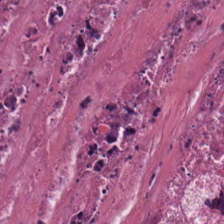Brightfield. 224×224 px patch. H&E stain.
Tissue type: necrotic debris.
